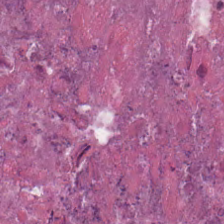Finding — necrotic debris.
